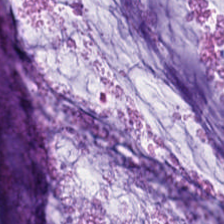224×224 pixel tile. Whole-slide-image patch. H&E-stained tissue section — {"tissue_type": "mucus"}
